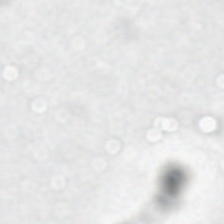Hematoxylin-and-eosin stained section · WSI patch · FFPE tissue section — Empty field — background.
